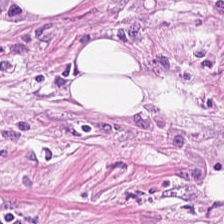Hematoxylin and eosin — Finding → tumor stroma.
